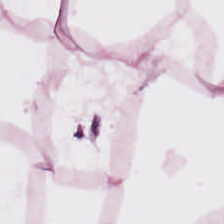Predominantly adipose.
